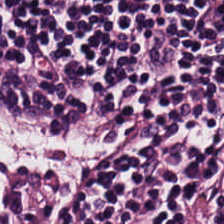0.5 µm per pixel. H&E stain. The predominant tissue is lymphoid infiltrate.
